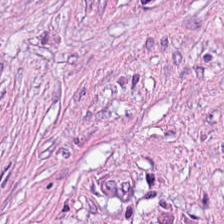Whole-slide-image patch; H&E stain — Histology → desmoplastic stroma.
